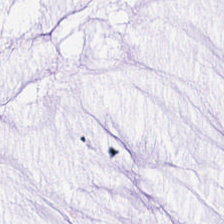Brightfield microscopy; H&E-stained tissue section — This field is mucus.
